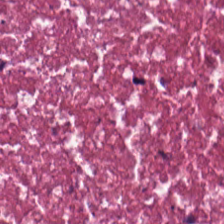The tissue here is necrotic debris.
